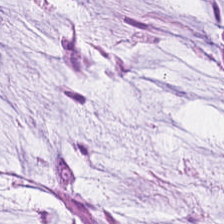H&E-stained tissue section — Predominant tissue — mucus.
